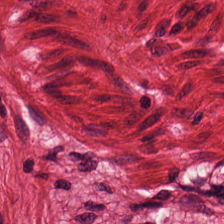Showing smooth muscle.
